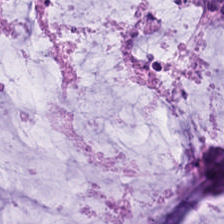Hematoxylin and eosin.
Impression → extracellular mucin.
